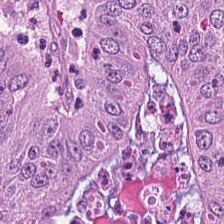Stain: H&E-stained tissue section.
Classification: colorectal adenocarcinoma epithelium.
